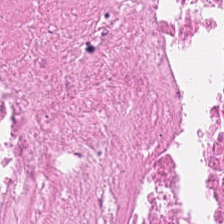Hematoxylin-and-eosin stained section; 224×224 px tile; 0.5 µm per pixel — The predominant tissue is necrotic debris.
